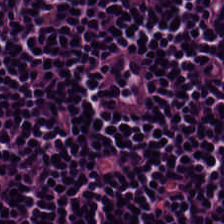Stain: H&E-stained tissue section.
Tissue class: lymphoid infiltrate.
